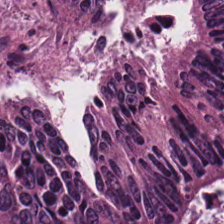Hematoxylin-and-eosin stained section. 224×224 px patch. FFPE tissue section — Showing colorectal adenocarcinoma.
